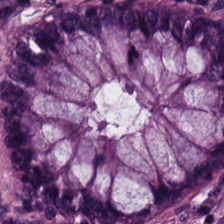Stain: hematoxylin-and-eosin stained section.
Tissue type: normal colonic mucosa.
